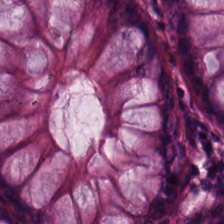Hematoxylin-and-eosin section: benign colonic mucosa.
